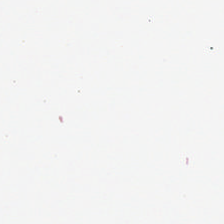H&E stain. This field is background (no tissue).
